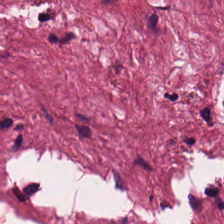0.5 microns per pixel · hematoxylin and eosin · 224×224 px tile. Showing cancer-associated stroma.
